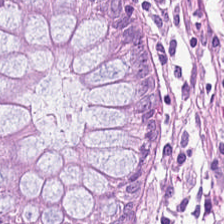Hematoxylin-and-eosin stained section. Q: What tissue type is shown here?
A: This is non-neoplastic colon mucosa.
